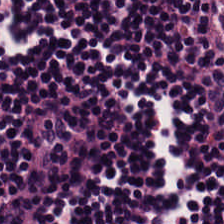Predominantly lymphocytes.
